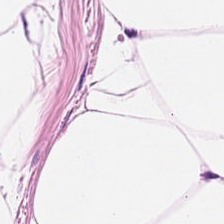Stain: H&E-stained tissue section.
Predominant tissue: adipose tissue.
